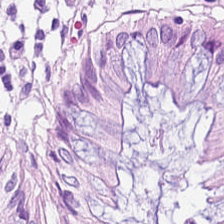Hematoxylin and eosin; 0.5 µm per pixel; 224×224 pixel tile.
Classification: normal colonic mucosa.
